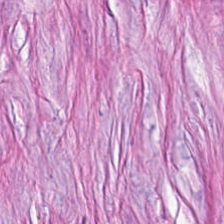H&E stain — This patch shows tumor stroma.
